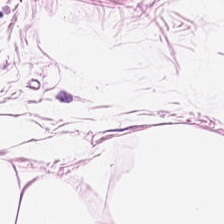0.5 µm per pixel. H&E stain — This patch shows fat tissue.
